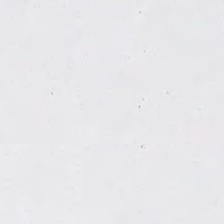Formalin-fixed paraffin-embedded section. H&E stain. Brightfield. This field is background (no tissue).
